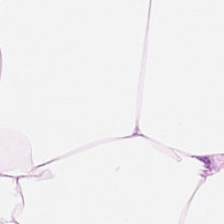H&E. 0.5 µm per pixel — The tissue class is fat tissue.
